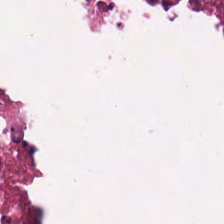0.5 µm per pixel · H&E · formalin-fixed paraffin-embedded section.
Classification = cellular debris.
